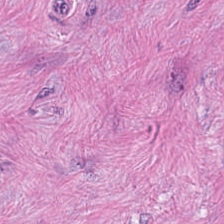H&E stain.
Q: What does this patch show?
A: Cancer-associated stroma.
